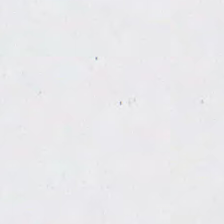H&E stain.
This patch shows no tissue.
